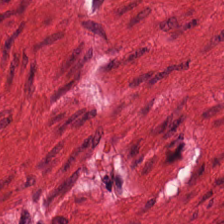H&E-stained tissue section.
The predominant tissue is smooth-muscle tissue.
